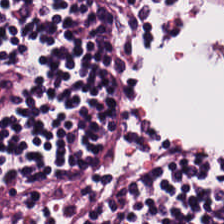Hematoxylin-and-eosin stained section. Tissue class = lymphoid infiltrate.
